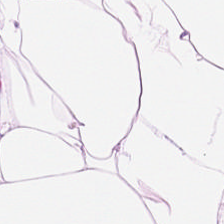Stain: H&E.
Classification: adipocytes.
